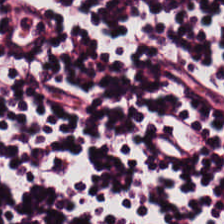H&E.
Finding → lymphocytic infiltrate.
